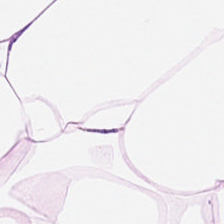Adipose tissue.
